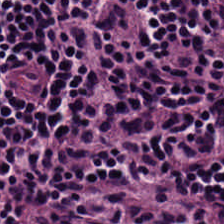Predominantly lymphocytic infiltrate.
